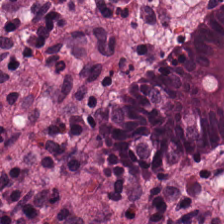Tissue class = normal colonic mucosa.
